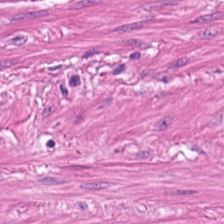H&E stain.
Q: What is shown here?
A: This is smooth-muscle tissue.
